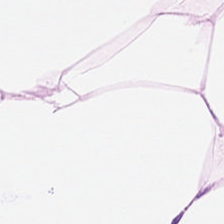This field is adipose tissue.
